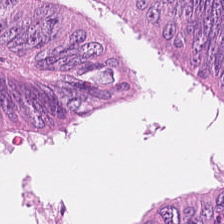H&E-stained tissue section — Tissue class — adenocarcinoma.
